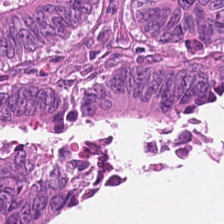Stain: H&E-stained tissue section.
Resolution: 0.5 µm per pixel.
Classification: adenocarcinoma.
